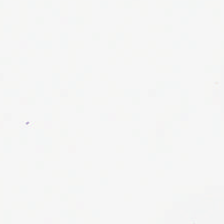Content — no tissue.
